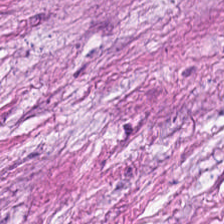FFPE tissue section. H&E stain.
This patch shows cancer-associated stroma.
